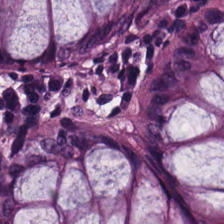H&E; FFPE.
This patch shows benign colonic mucosa.
